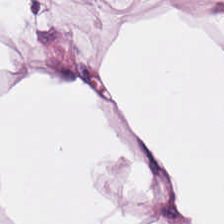H&E-stained tissue section; brightfield microscopy. Impression — fat tissue.
